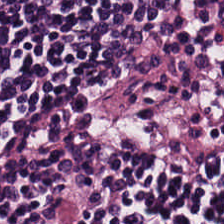The predominant tissue is lymphocyte aggregate.
